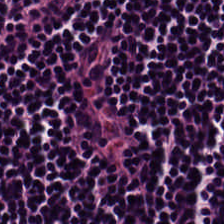Hematoxylin-and-eosin stained section.
Tissue class = lymphocytic infiltrate.
